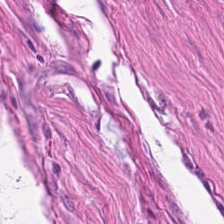Stain: H&E stain.
Tissue: muscularis.
